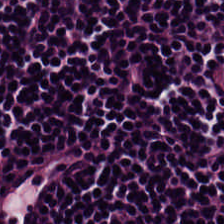Hematoxylin and eosin. Q: What tissue type is shown here?
A: It is lymphocyte aggregate.
